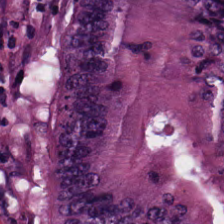Tissue: malignant epithelium.
